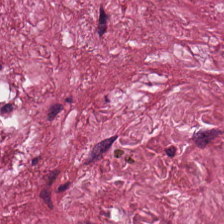H&E stain. 0.5 µm/px. Formalin-fixed paraffin-embedded section. The predominant tissue is tumor-associated stroma.
